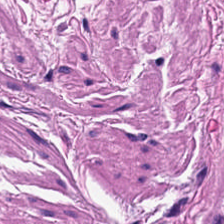H&E. Histology → smooth-muscle tissue.
